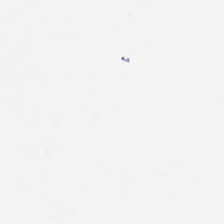No tissue present; background only.
